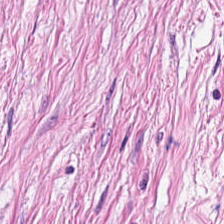H&E stain; 0.5 microns per pixel; 224×224 px patch.
The predominant tissue is desmoplastic stroma.
